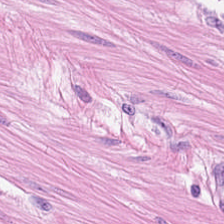Brightfield microscopy. Hematoxylin-and-eosin stained section.
Impression — smooth-muscle tissue.
